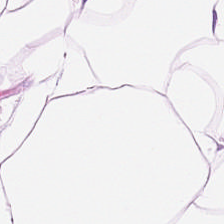H&E-stained tissue section · brightfield · 224×224 px tile.
Showing fat tissue.
